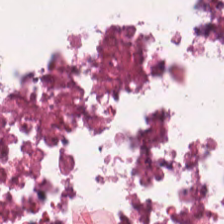0.5 µm per pixel; 224×224 px tile; hematoxylin-and-eosin stained section. The tissue here is debris.
